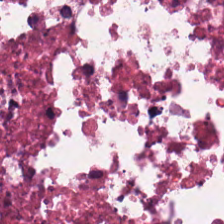Tissue class = cellular debris.
